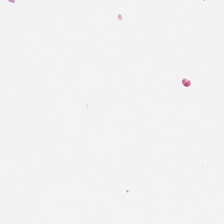H&E stain — This field is background (no tissue).
